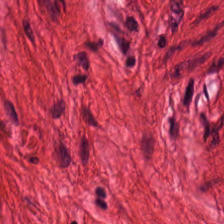Brightfield · H&E stain · 20× equivalent magnification.
Smooth muscle.
